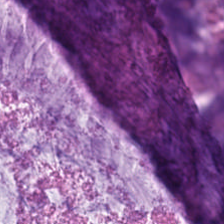H&E-stained tissue section · formalin-fixed paraffin-embedded section. Tissue — extracellular mucin.
